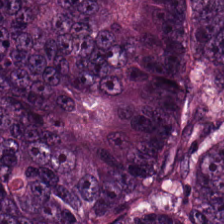0.5 microns per pixel · H&E · brightfield microscopy. Tissue: malignant epithelium.
